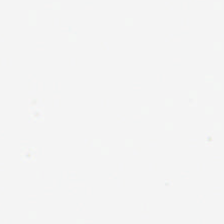Hematoxylin-and-eosin stained section; brightfield microscopy.
No tissue.
